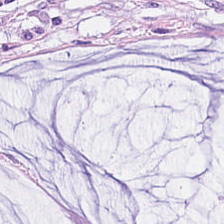Hematoxylin and eosin; FFPE; brightfield microscopy.
Q: Classify this patch.
A: Extracellular mucin.
